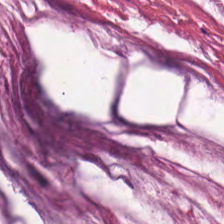H&E. Showing extracellular mucin.
